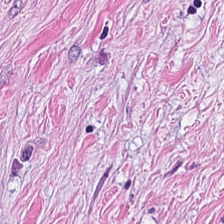Stain: H&E.
Resolution: 0.5 µm/px.
Classification: desmoplastic stroma.
